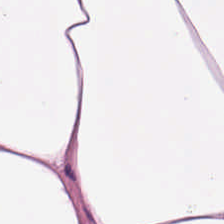H&E stain.
Predominantly fat tissue.
